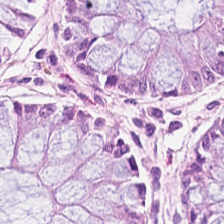H&E. Predominantly non-neoplastic colon mucosa.
